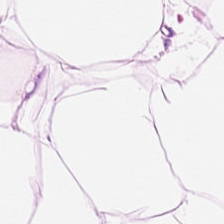224×224 px patch. H&E stain. The tissue here is adipocytes.
